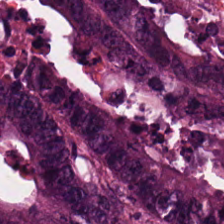224×224 px patch. Hematoxylin-and-eosin stained section — Tumor epithelium.
